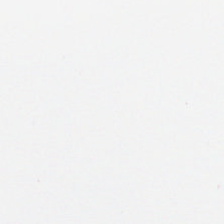Stain: hematoxylin and eosin.
Field content: empty background.
